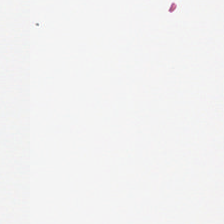H&E — Background — no tissue in this field.
